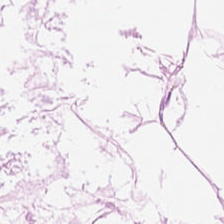Hematoxylin and eosin. 20× equivalent magnification. Brightfield microscopy — Tissue type = fat tissue.
